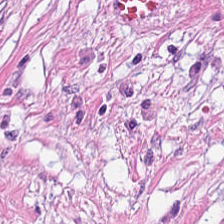Hematoxylin-and-eosin stained section. Histology — desmoplastic stroma.
